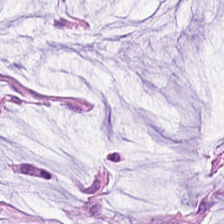Hematoxylin-and-eosin stained section.
Tissue class: mucus.
